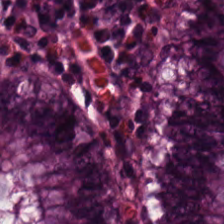Hematoxylin-and-eosin stained section; WSI patch.
Predominantly normal colon mucosa.
